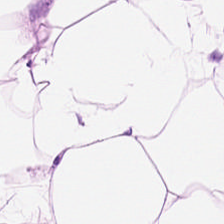H&E stain.
Finding — adipocytes.
